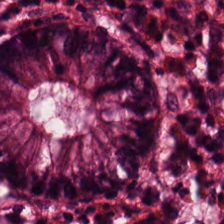H&E — The predominant tissue is non-neoplastic colon mucosa.
